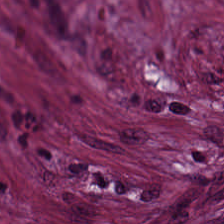H&E stain — Tissue = tumor stroma.
